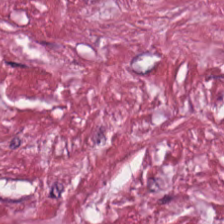{"tissue_type": "desmoplastic stroma"}
